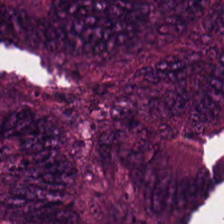The tissue here is colorectal adenocarcinoma.
